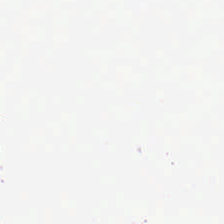H&E stain. 0.5 microns per pixel. Whole-slide-image patch — {"content": "background"}
